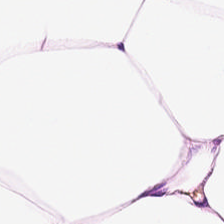H&E. {"tissue_type": "fat tissue"}
